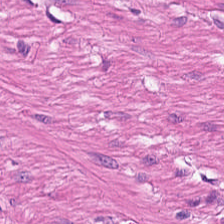Formalin-fixed paraffin-embedded section; H&E; 0.5 µm/px.
Predominant tissue = smooth-muscle tissue.
